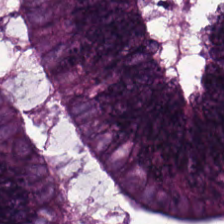H&E stain. The predominant tissue is tumor epithelium.
